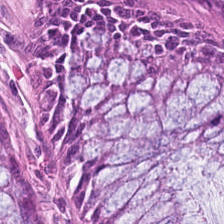The tissue class is normal colonic mucosa.
